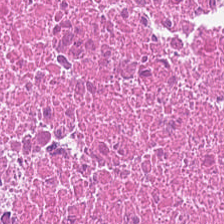Stain: hematoxylin and eosin.
Preparation: FFPE.
Classification: cellular debris.
